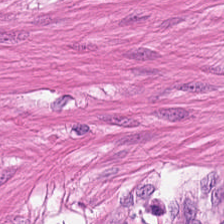This field is smooth-muscle tissue.
